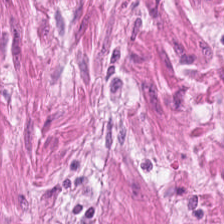Stain: hematoxylin-and-eosin stained section.
Tile size: 224×224 px tile.
Tissue type: smooth muscle.
